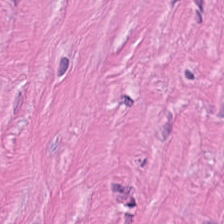H&E stain.
This field is tumor-associated stroma.
